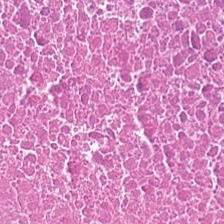H&E patch showing cellular debris.
